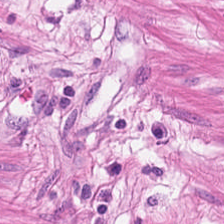Showing smooth muscle.
